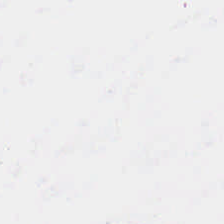Histology — empty background.
